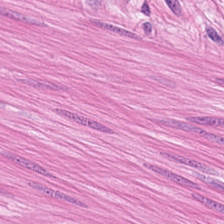Hematoxylin-and-eosin stained section — This patch shows muscularis.
